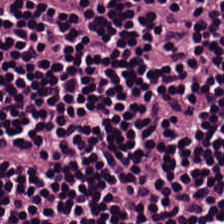Hematoxylin and eosin — The classification is lymphocyte aggregate.
